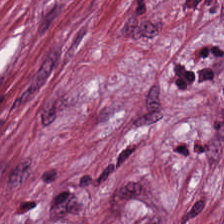H&E-stained tissue section — The predominant tissue is desmoplastic stroma.
